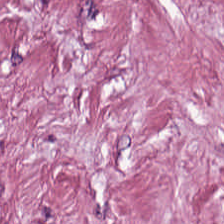Stain: hematoxylin and eosin.
Tissue: tumor-associated stroma.
